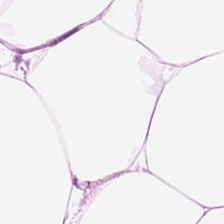Whole-slide-image patch · 224×224 pixel tile · H&E.
This field is fat tissue.
